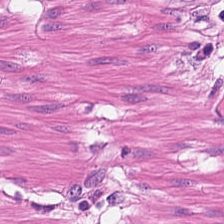Hematoxylin and eosin.
Predominantly smooth-muscle tissue.
